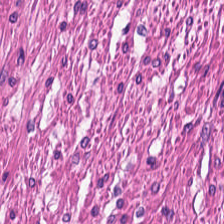Smooth muscle.
